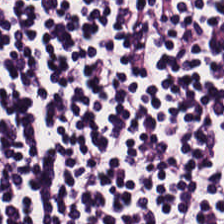H&E-stained tissue section. Q: What type of tissue is this?
A: This is lymphoid infiltrate.
